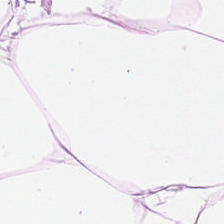H&E stain; brightfield microscopy; 224×224 px tile. This field is adipocytes.
